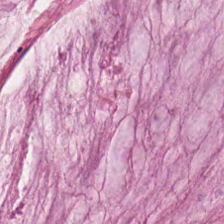Hematoxylin and eosin.
Tissue class — mucus.
